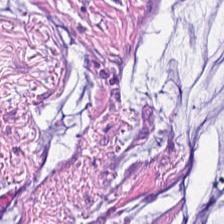H&E.
This patch shows tumor stroma.
